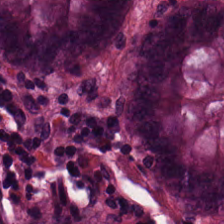H&E.
This patch shows normal colonic mucosa.
